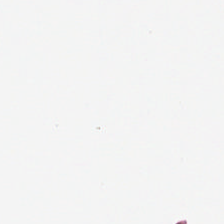H&E. FFPE.
Content = no tissue.
